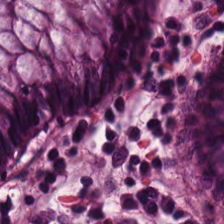H&E — Classification = normal colon mucosa.
